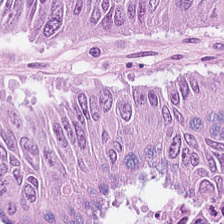H&E patch showing colorectal adenocarcinoma.
